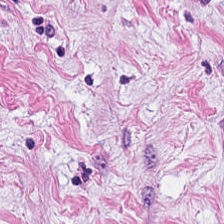Hematoxylin and eosin. Q: What is shown in this field?
A: It is cancer-associated stroma.
